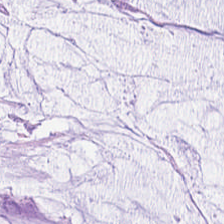Hematoxylin-and-eosin stained section — Tissue class — mucus.
